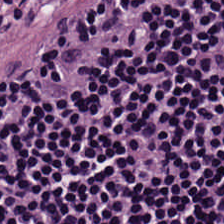H&E-stained tissue section.
Classification = lymphocyte aggregate.
